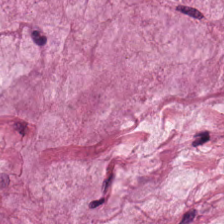Hematoxylin-and-eosin stained section — Finding → mucus.
